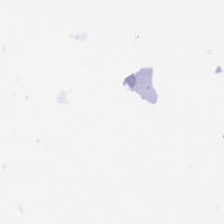224×224 px patch. H&E.
Q: What is shown here?
A: It is no tissue.
